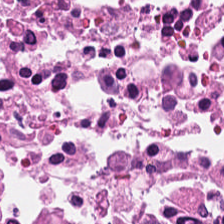Hematoxylin-and-eosin stained section · formalin-fixed paraffin-embedded section.
Predominant tissue: necrotic debris.
